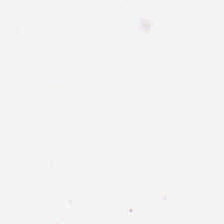H&E-stained tissue section. This field is background (no tissue).
